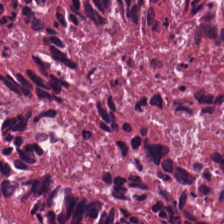H&E-stained tissue section. Q: Classify this patch.
A: It is debris.
